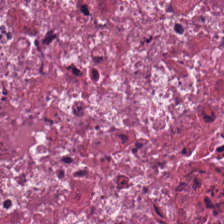Stain: hematoxylin and eosin.
Resolution: 20× equivalent magnification.
Tissue type: debris.
